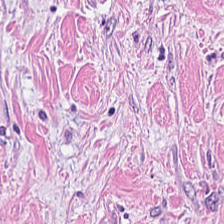Histology → desmoplastic stroma.
